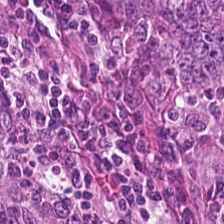Stain: hematoxylin and eosin.
Tissue type: adenocarcinoma.
